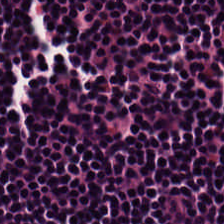Hematoxylin-and-eosin stained section — The tissue type is lymphocytic infiltrate.
